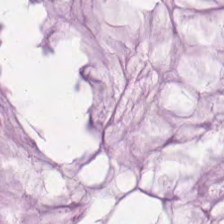H&E stain. This patch shows mucus.
